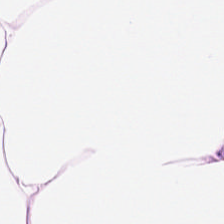Hematoxylin and eosin; 224×224 px patch.
The tissue class is adipose.
